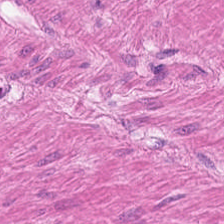224×224 pixel tile. H&E — Q: What does this patch show?
A: This is smooth-muscle tissue.
